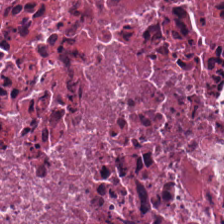Hematoxylin and eosin · whole-slide-image patch.
Q: What is the predominant tissue type?
A: Cellular debris.
